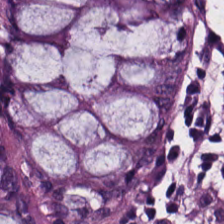Hematoxylin-and-eosin stained section. Normal colonic mucosa.
